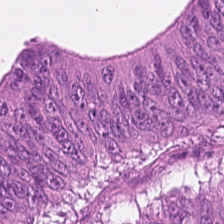H&E stain; 224×224 pixel tile.
Predominantly adenocarcinoma.
